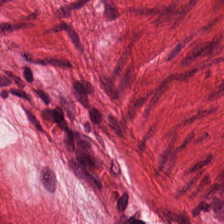0.5 microns per pixel. H&E-stained tissue section. Showing smooth-muscle tissue.
